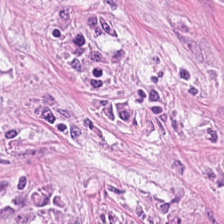224×224 px patch; 0.5 microns per pixel; hematoxylin-and-eosin stained section — Histology — tumor stroma.
